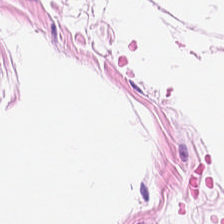Q: What is the predominant tissue type?
A: It is fat tissue.
